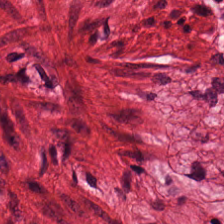Hematoxylin and eosin; FFPE tissue section; 224×224 px tile. Tissue = smooth muscle.
